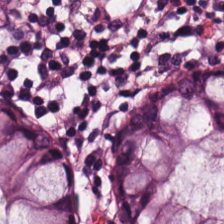FFPE. Hematoxylin-and-eosin stained section. Q: What is shown in this field?
A: Benign colonic mucosa.
